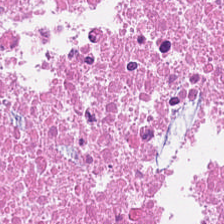FFPE; hematoxylin-and-eosin stained section.
Histology → debris.
